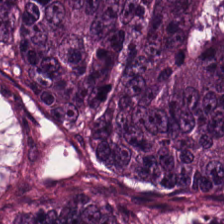Whole-slide-image patch; H&E-stained tissue section; 0.5 µm per pixel. Showing adenocarcinoma.
